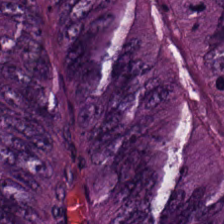Stain: H&E stain.
Tissue class: malignant epithelium.
